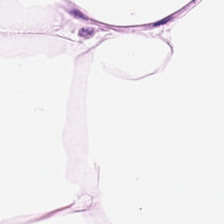Q: What is shown here?
A: This is fat tissue.
